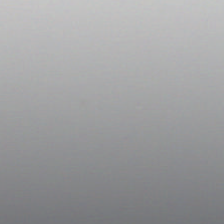H&E-stained tissue section · 224×224 px tile. Finding → background (no tissue).
